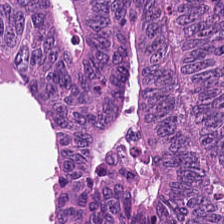H&E stain. Finding — malignant epithelium.
